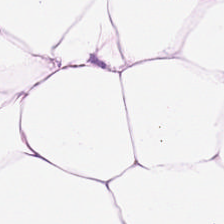Classification: adipose.
